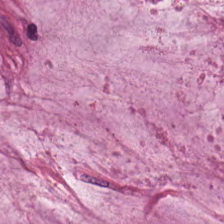Hematoxylin-and-eosin stained section.
Showing mucus.
